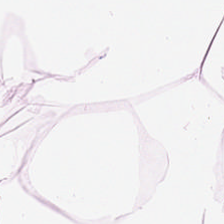Hematoxylin and eosin. Tissue type — adipocytes.
